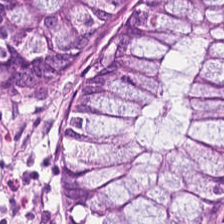Stain: H&E-stained tissue section.
Acquisition: brightfield microscopy.
Resolution: 0.5 µm per pixel.
Classification: normal colonic mucosa.
